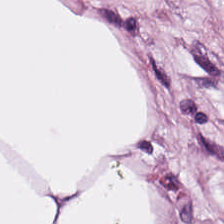H&E-stained tissue section. Predominant tissue = adipose.
